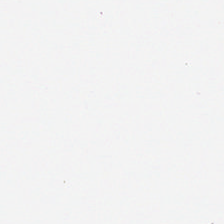Brightfield microscopy; H&E-stained tissue section — Classification — no tissue.
